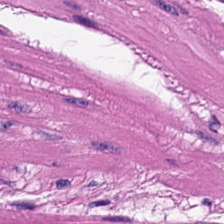Showing smooth-muscle tissue.
